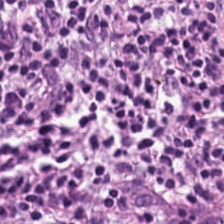H&E stain. Q: What tissue is shown?
A: This is lymphocytes.
